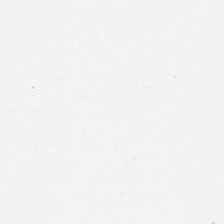0.5 µm per pixel · H&E stain — {"content": "background"}
